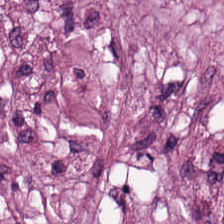Hematoxylin-and-eosin stained section. Showing tumor stroma.
